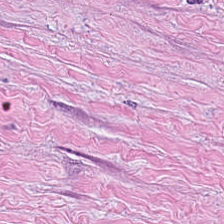Impression — tumor-associated stroma.
